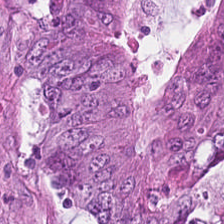H&E stain. 20× equivalent magnification.
Q: What does this patch show?
A: Malignant epithelium.
